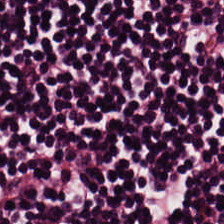Histology — lymphocytic infiltrate.
